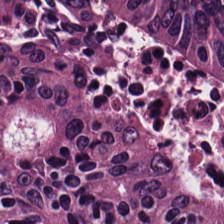H&E stain. Q: What tissue type is shown here?
A: This is malignant epithelium.
